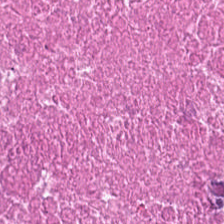H&E stain — The tissue here is debris.
